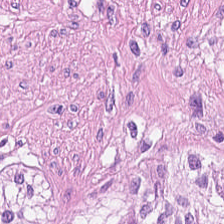Showing smooth-muscle tissue.
